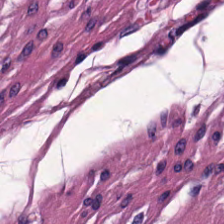224×224 pixel tile; H&E-stained tissue section — Q: What is shown here?
A: The field shows smooth-muscle tissue.
